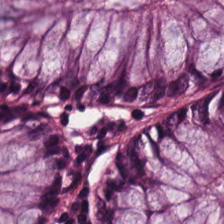Hematoxylin-and-eosin stained section. Whole-slide-image patch. 0.5 microns per pixel — Predominantly normal colonic mucosa.
